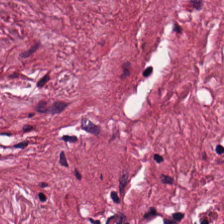0.5 µm/px. Hematoxylin and eosin — The tissue here is tumor stroma.
